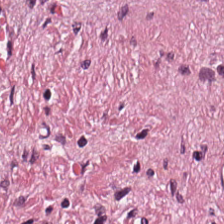H&E. This patch shows cancer-associated stroma.
